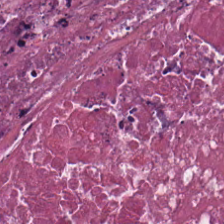Hematoxylin and eosin.
Q: What does this patch show?
A: The field shows necrotic debris.
